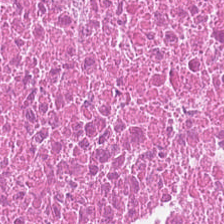H&E — Classification: cellular debris.
